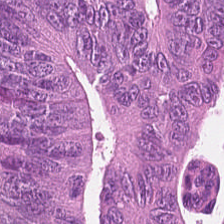Stain: H&E stain.
Tissue class: malignant epithelium.
